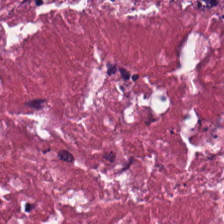Hematoxylin-and-eosin stained section — Classification — cellular debris.
